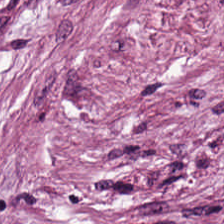Hematoxylin and eosin · brightfield. Q: Identify the tissue.
A: Tumor stroma.
